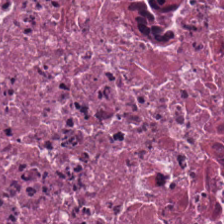H&E stain.
{"tissue_type": "debris"}
